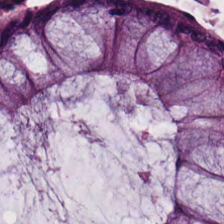Hematoxylin and eosin; 224×224 px patch — {"tissue_type": "normal colonic mucosa"}
